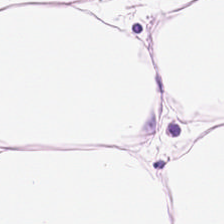H&E stain · brightfield · FFPE tissue section — Q: What tissue type is shown here?
A: The field shows adipocytes.
